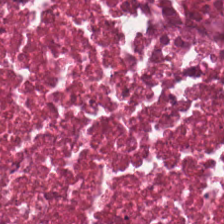H&E. Classification — cellular debris.
